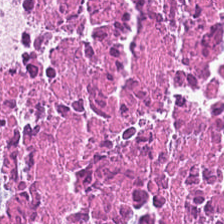Stain: H&E.
Classification: debris.
